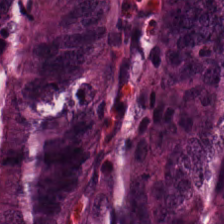Predominant tissue = colorectal adenocarcinoma.
